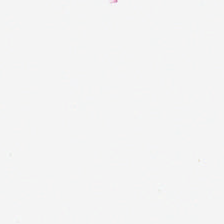20× equivalent magnification · H&E. This field is background (no tissue).
